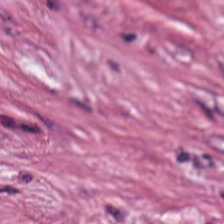224×224 pixel tile · whole-slide-image patch · H&E stain — Showing tumor stroma.
